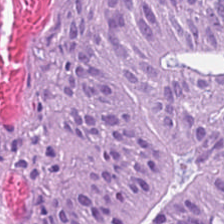Hematoxylin and eosin — The tissue type is colorectal adenocarcinoma.
